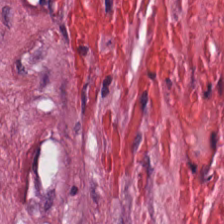H&E stain.
Tissue class — tumor-associated stroma.
